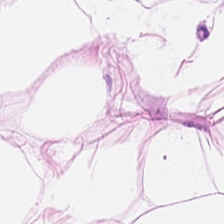224×224 px patch · hematoxylin-and-eosin stained section · WSI patch — Predominant tissue — adipose tissue.
